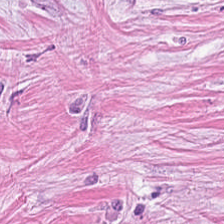Finding → cancer-associated stroma.
